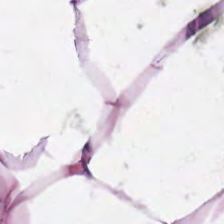H&E-stained tissue section. 224×224 px tile. FFPE tissue section — Q: What is the predominant tissue type?
A: The field shows fat tissue.
